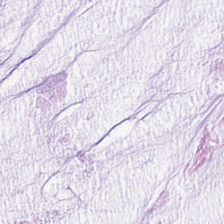224×224 pixel tile · hematoxylin-and-eosin stained section · FFPE — Tissue = extracellular mucin.
